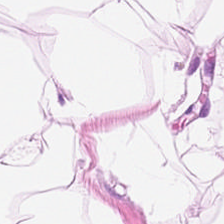Whole-slide-image patch; H&E stain — Fat tissue.
